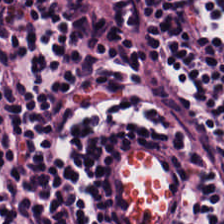Whole-slide-image patch. Hematoxylin-and-eosin stained section.
Showing lymphocyte aggregate.
